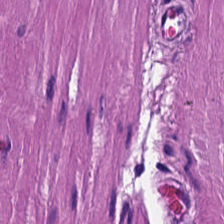Hematoxylin-and-eosin stained section. 224×224 px patch.
Tissue class — muscularis.
